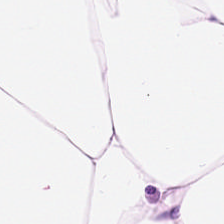H&E stain — This patch shows fat tissue.
